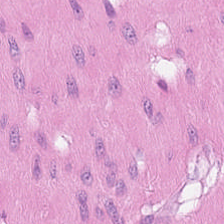H&E.
Predominantly smooth muscle.
